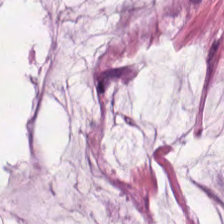H&E stain · formalin-fixed paraffin-embedded section · 0.5 microns per pixel. Impression → mucus.
